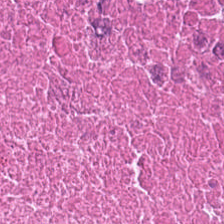0.5 microns per pixel; hematoxylin-and-eosin stained section — Impression → cellular debris.
